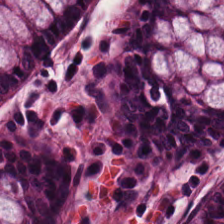Stain: H&E stain.
Tile size: 224×224 px tile.
Predominant tissue: benign colonic mucosa.
